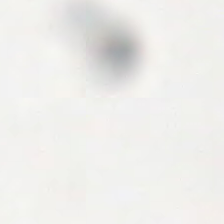Hematoxylin and eosin — This patch shows background.
